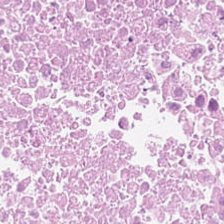224×224 px patch · hematoxylin and eosin.
This patch shows necrotic debris.
